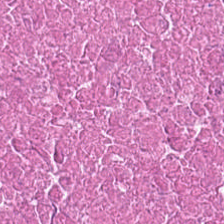H&E — Impression → debris.
